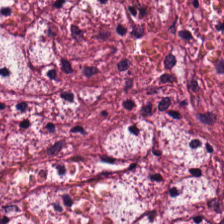H&E. The tissue here is tumor stroma.
